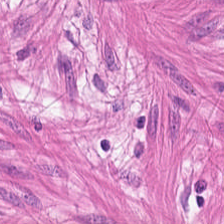This field is smooth-muscle tissue.
